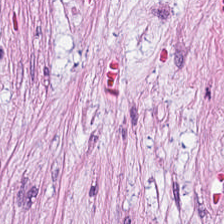Stain: hematoxylin and eosin.
Classification: tumor-associated stroma.
